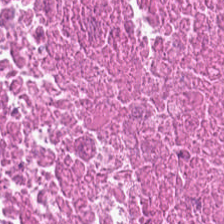Hematoxylin and eosin. Impression — debris.
